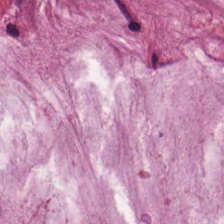Stain: hematoxylin and eosin.
Predominant tissue: mucus.
